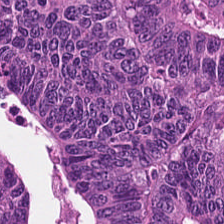H&E-stained tissue section. 0.5 µm per pixel. This patch shows malignant epithelium.
